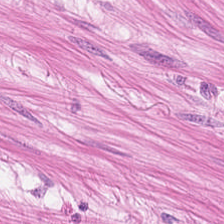Hematoxylin-and-eosin stained section. Predominant tissue: smooth-muscle tissue.
